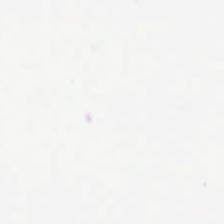Formalin-fixed paraffin-embedded section; H&E stain. No tissue present; background only.
